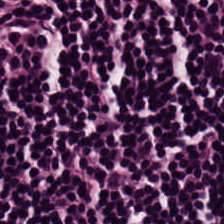H&E stain · whole-slide-image patch. Q: What is shown in this field?
A: It is lymphocytic infiltrate.
